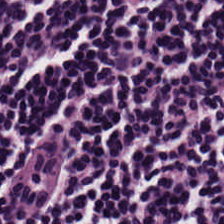Stain: H&E-stained tissue section.
Classification: lymphocytes.
